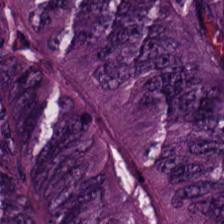Impression — colorectal adenocarcinoma.
